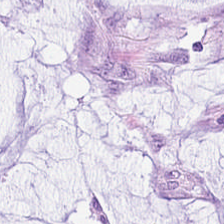H&E — Tissue — mucus.
